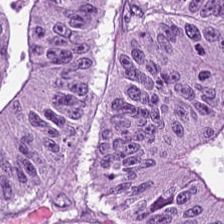Hematoxylin-and-eosin stained section — Impression → colorectal adenocarcinoma.
